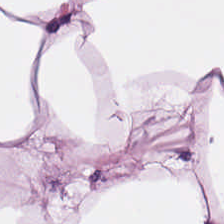Hematoxylin-and-eosin section: adipose.
